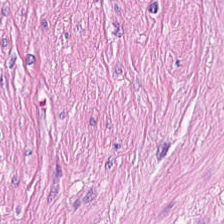Stain: hematoxylin and eosin.
Tissue: smooth muscle.
